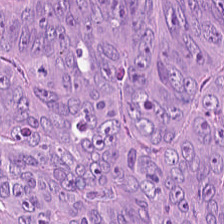FFPE tissue section · H&E-stained tissue section.
Q: What tissue is shown?
A: This is adenocarcinoma.
